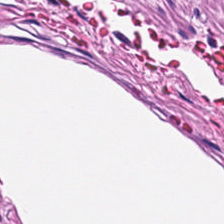Hematoxylin-and-eosin stained section. Tissue — smooth muscle.
